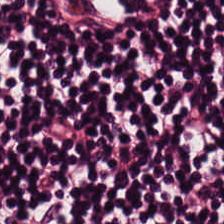Stain: hematoxylin-and-eosin stained section.
Predominant tissue: lymphocytes.
